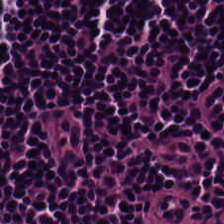H&E · FFPE. Classification: lymphoid infiltrate.
